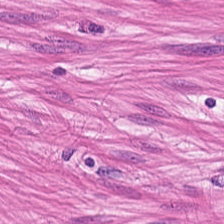H&E stain. Tissue: muscularis.
